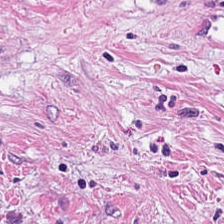Impression → cancer-associated stroma.
